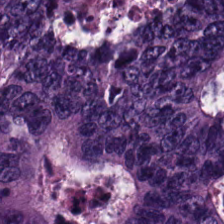Hematoxylin and eosin; 224×224 px tile.
The predominant tissue is malignant epithelium.
